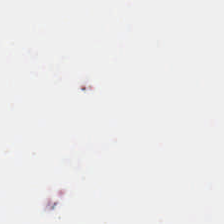0.5 microns per pixel · 224×224 pixel tile · H&E-stained tissue section.
Background (no tissue).
